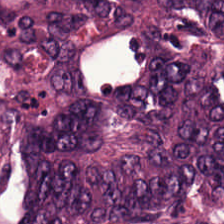Hematoxylin and eosin. 224×224 px patch. Showing colorectal adenocarcinoma.
